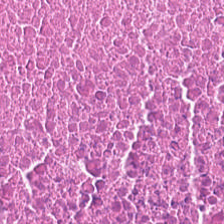The predominant tissue is cellular debris.
